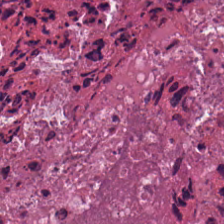224×224 pixel tile · H&E stain — The tissue here is debris.
